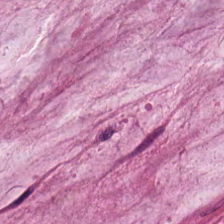Finding — mucus.
